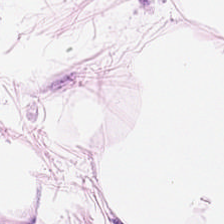Stain: H&E stain.
Tissue class: adipose.
